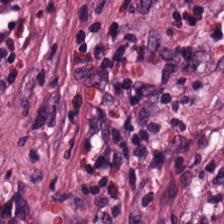Brightfield · hematoxylin-and-eosin stained section · 0.5 µm per pixel. Q: What is the predominant tissue type?
A: The field shows cancer-associated stroma.
